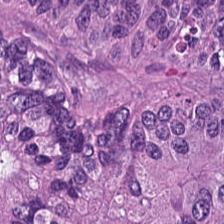H&E — malignant epithelium.
